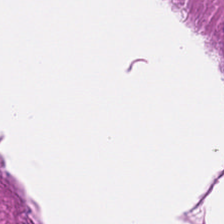Hematoxylin and eosin. Classification = smooth-muscle tissue.
